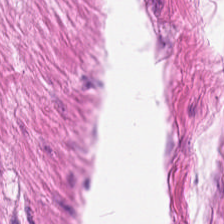H&E stain. Histology → smooth-muscle tissue.
